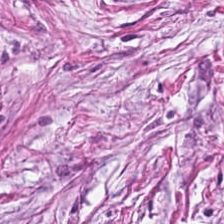Brightfield. Hematoxylin and eosin. FFPE. The predominant tissue is desmoplastic stroma.
